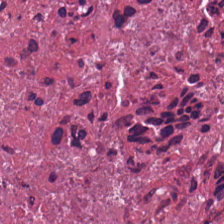Stain: hematoxylin and eosin.
Preparation: FFPE tissue section.
Tile size: 224×224 pixel tile.
Classification: necrotic debris.
